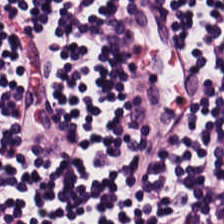H&E — Histology → lymphoid infiltrate.
